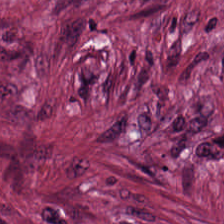Hematoxylin-and-eosin stained section.
Showing tumor-associated stroma.
